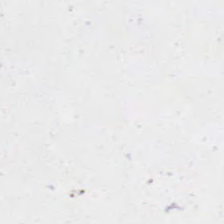H&E-stained tissue section · 0.5 µm/px — Q: What is shown here?
A: This is no tissue.
